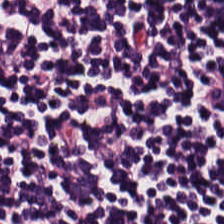H&E-stained tissue section showing lymphocytic infiltrate.
